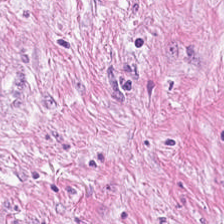Brightfield microscopy; 224×224 pixel tile; hematoxylin and eosin — Classification — tumor-associated stroma.
